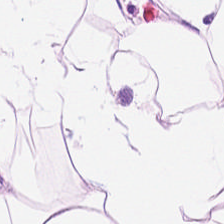0.5 µm/px; hematoxylin and eosin; FFPE. The tissue class is fat tissue.
